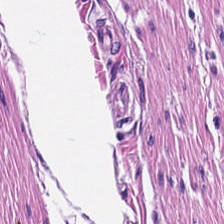H&E; 0.5 microns per pixel. {"tissue_type": "muscularis"}
